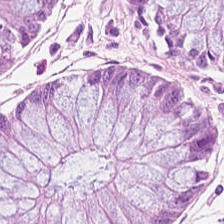Histology → normal colonic mucosa.
